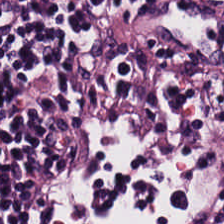Stain: hematoxylin and eosin.
Preparation: formalin-fixed paraffin-embedded section.
Tile size: 224×224 px patch.
Tissue: lymphocyte aggregate.
